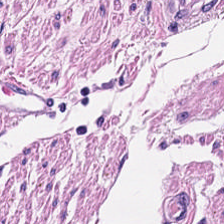Hematoxylin and eosin.
Q: What type of tissue is this?
A: It is smooth-muscle tissue.
